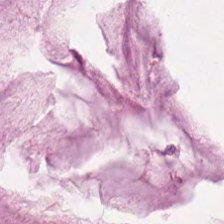H&E stain · 0.5 microns per pixel — Q: What type of tissue is this?
A: Mucus.
